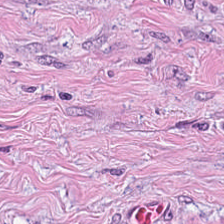Stain: hematoxylin-and-eosin stained section.
Tissue class: tumor stroma.
